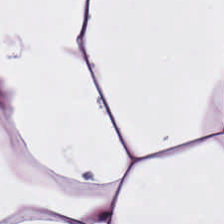H&E stain.
Showing fat tissue.
